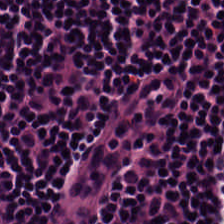Q: What tissue is shown?
A: Lymphocytic infiltrate.
